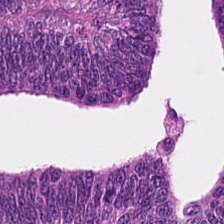H&E stain — Q: What is the predominant tissue type?
A: Adenocarcinoma.
